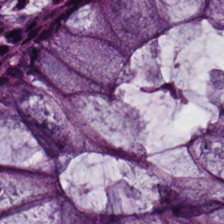The tissue type is normal colonic mucosa.
